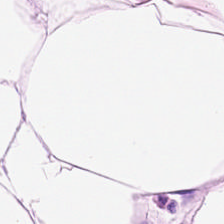Stain: H&E-stained tissue section.
Tissue class: adipocytes.
